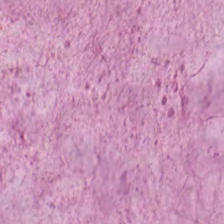Formalin-fixed paraffin-embedded section; 224×224 px patch; hematoxylin and eosin.
Q: What is the predominant tissue type?
A: The field shows extracellular mucin.
